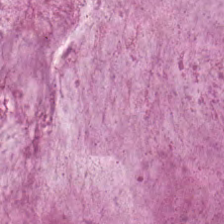224×224 pixel tile; H&E stain.
This field is mucin.
